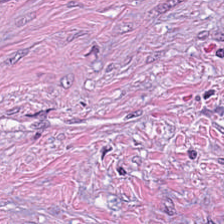H&E stain. 20× equivalent magnification.
Tumor-associated stroma.
